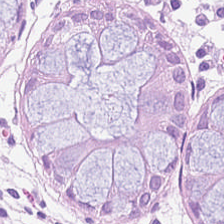Stain: H&E stain.
Tile size: 224×224 px patch.
Acquisition: brightfield microscopy.
Classification: normal colonic mucosa.
